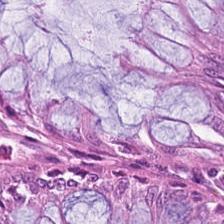H&E. Classification = non-neoplastic colon mucosa.
